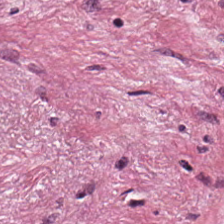Hematoxylin and eosin; FFPE; 20× equivalent magnification. Predominant tissue = desmoplastic stroma.
